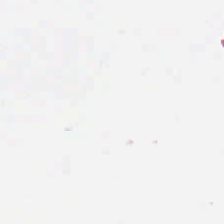Background — no tissue in this field.
